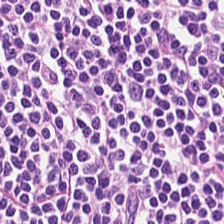H&E-stained tissue section — The classification is lymphocyte aggregate.
